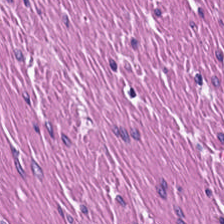Finding → smooth-muscle tissue.
